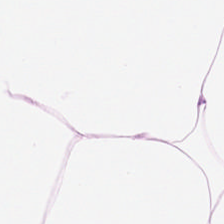H&E stain. Fat tissue.
